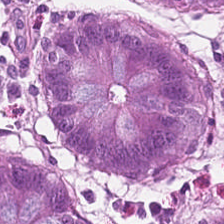Hematoxylin-and-eosin stained section.
Showing benign colonic mucosa.
